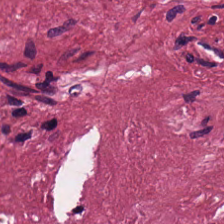Classification = tumor stroma.
